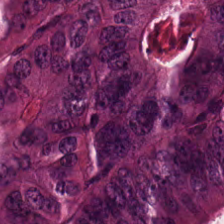Stain: hematoxylin and eosin.
Tile size: 224×224 pixel tile.
Tissue type: tumor epithelium.
